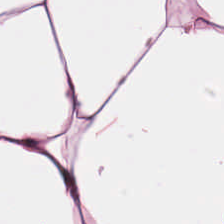Stain: H&E-stained tissue section.
Acquisition: whole-slide-image patch.
Predominant tissue: adipose tissue.
